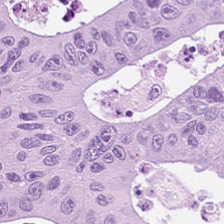Formalin-fixed paraffin-embedded section · H&E.
Finding → malignant epithelium.
